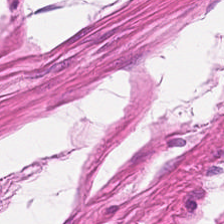Histology → muscularis.
